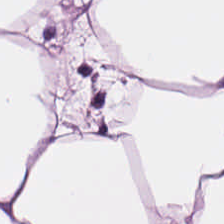0.5 µm per pixel · hematoxylin-and-eosin stained section · formalin-fixed paraffin-embedded section.
The predominant tissue is adipocytes.
